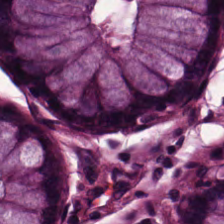0.5 microns per pixel; H&E-stained tissue section; 224×224 px tile. Q: What tissue is shown?
A: Benign colonic mucosa.
